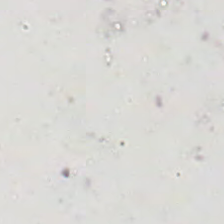Hematoxylin-and-eosin stained section · 0.5 microns per pixel · FFPE. Field content — empty background.
